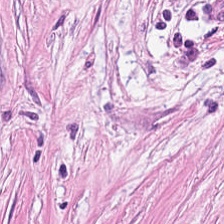H&E stain. Whole-slide-image patch — The predominant tissue is tumor-associated stroma.
